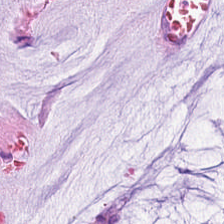H&E — Predominantly mucus.
